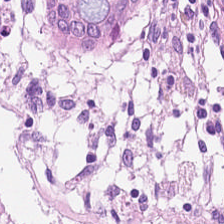Brightfield microscopy · H&E — Tissue type = benign colonic mucosa.
